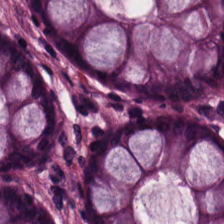Formalin-fixed paraffin-embedded section · 224×224 px tile · H&E. Histology — benign colonic mucosa.
